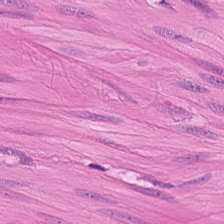H&E-stained section; the field shows muscularis.
